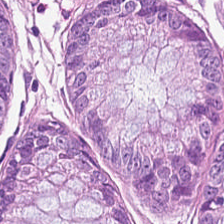H&E-stained tissue section — Q: Classify this patch.
A: This is normal colon mucosa.
